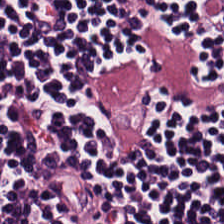Stain: H&E stain.
Tissue: lymphocytes.
